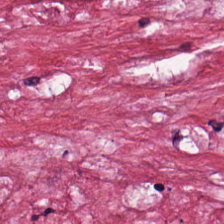Hematoxylin-and-eosin stained section · 20× equivalent magnification. Finding → tumor-associated stroma.
